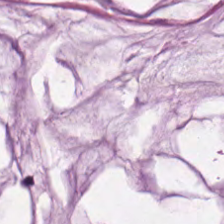Whole-slide-image patch · H&E stain. Q: What is shown in this field?
A: The field shows mucin.
